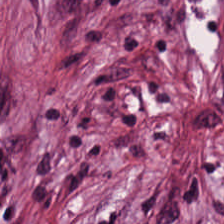Stain: H&E.
Tissue type: cancer-associated stroma.
